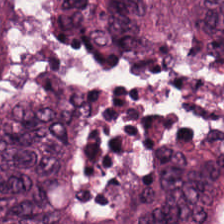Predominant tissue = colorectal adenocarcinoma epithelium.
